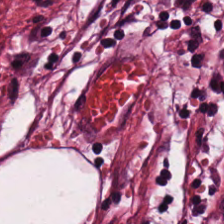H&E-stained tissue section.
This field is tumor stroma.
